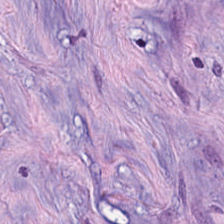H&E-stained tissue section; brightfield microscopy — Finding — desmoplastic stroma.
